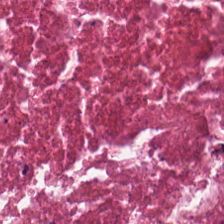Hematoxylin and eosin. FFPE tissue section.
Predominant tissue — debris.
